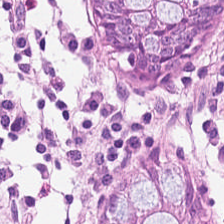H&E. Brightfield. 224×224 px patch.
The tissue here is non-neoplastic colon mucosa.
